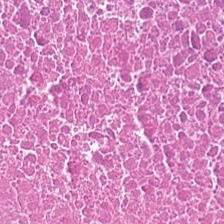H&E-stained section; the field shows debris.
